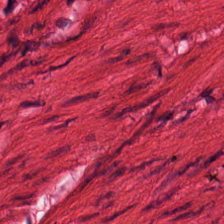Tissue type = muscularis.
